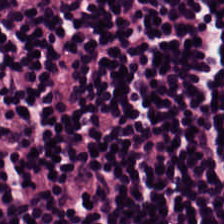H&E; WSI patch. Tissue class = lymphocytic infiltrate.
